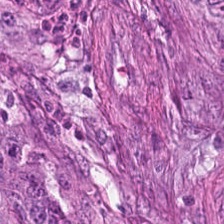H&E-stained tissue section.
Tissue class: colorectal adenocarcinoma.
